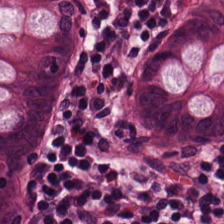FFPE; hematoxylin and eosin. Tissue — non-neoplastic colon mucosa.
